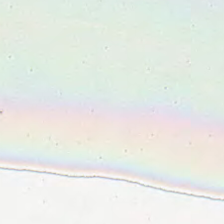Hematoxylin and eosin.
Impression — background.
